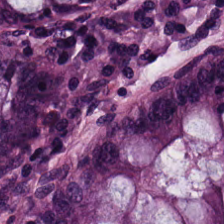Hematoxylin and eosin — Showing normal colon mucosa.
